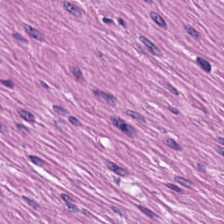Stain: hematoxylin-and-eosin stained section.
Resolution: 0.5 µm per pixel.
Tissue: muscularis.
